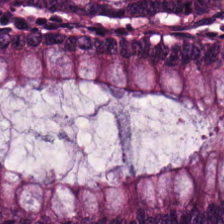0.5 µm per pixel; 224×224 pixel tile; H&E stain — Histology — normal colon mucosa.
